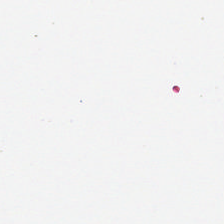Hematoxylin-and-eosin stained section — This patch shows background.
